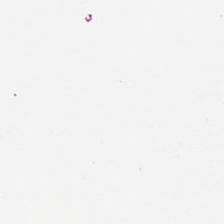H&E. Background — no tissue in this field.
